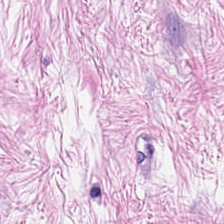Stain: H&E.
Resolution: 0.5 µm per pixel.
Classification: desmoplastic stroma.
